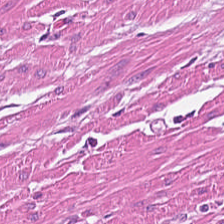FFPE tissue section. H&E stain — Muscularis.
